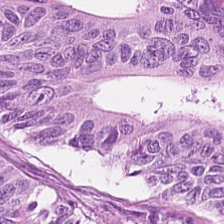0.5 µm per pixel; hematoxylin and eosin; FFPE tissue section.
Impression → colorectal adenocarcinoma.
